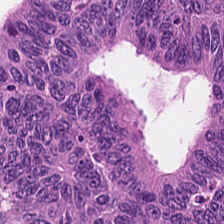224×224 px tile · formalin-fixed paraffin-embedded section · hematoxylin-and-eosin stained section — Classification — colorectal adenocarcinoma.
